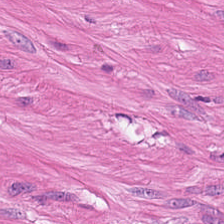0.5 microns per pixel. H&E stain.
Tissue class — smooth muscle.
